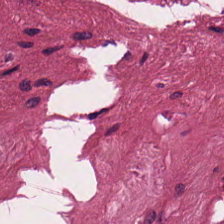Histology — tumor stroma.
